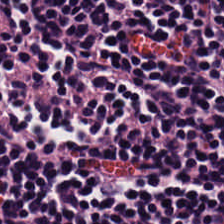Stain: hematoxylin-and-eosin stained section.
Resolution: 0.5 microns per pixel.
Tissue type: lymphocyte aggregate.
